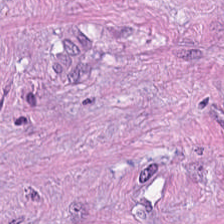Hematoxylin-and-eosin stained section.
The tissue class is tumor stroma.
